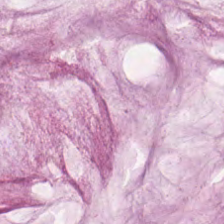0.5 µm/px. Hematoxylin-and-eosin stained section. Q: What is shown in this field?
A: It is extracellular mucin.
